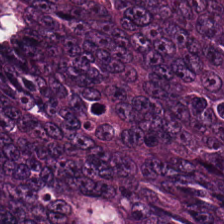0.5 µm/px · FFPE tissue section · hematoxylin-and-eosin stained section. Classification: adenocarcinoma.
